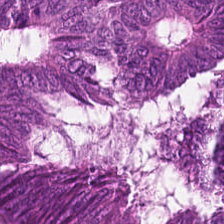H&E — Q: What tissue is shown?
A: This is adenocarcinoma.
